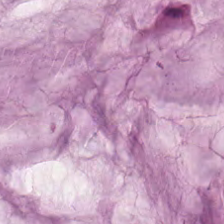Hematoxylin-and-eosin stained section.
Predominant tissue — mucin.
